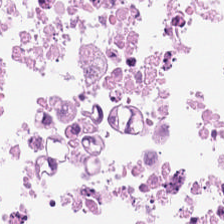Predominant tissue — necrotic debris.
